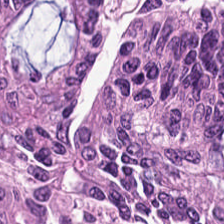FFPE tissue section. 224×224 px patch. H&E-stained tissue section — {"tissue_type": "colorectal adenocarcinoma epithelium"}
